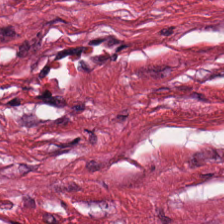Hematoxylin-and-eosin section: tumor-associated stroma.
